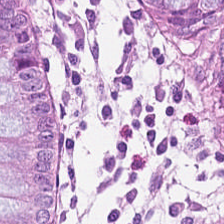WSI patch. H&E. FFPE. Histology — benign colonic mucosa.
